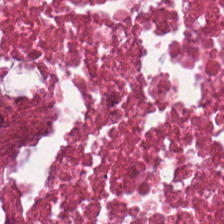20× equivalent magnification; hematoxylin and eosin; brightfield. Cellular debris.
